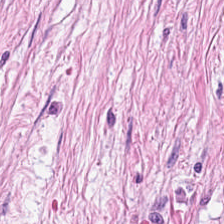This field is desmoplastic stroma.
